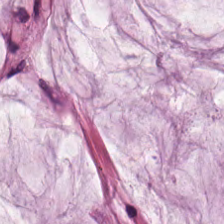{"tissue_type": "mucus"}
